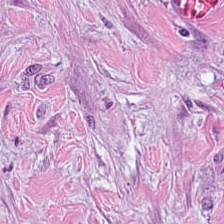H&E; FFPE tissue section — The tissue type is cancer-associated stroma.
